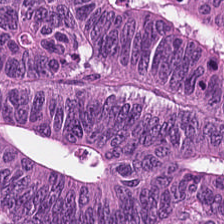H&E-stained tissue section · 224×224 px tile.
Finding → colorectal adenocarcinoma.
